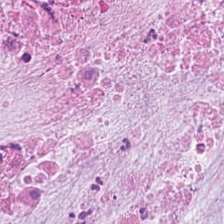Histology — mucin.
